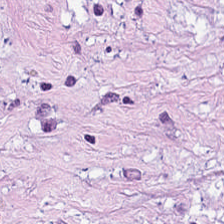Stain: hematoxylin and eosin.
Tissue: cancer-associated stroma.
